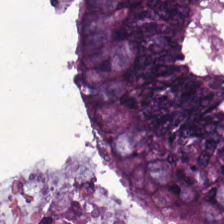Hematoxylin and eosin. The predominant tissue is colorectal adenocarcinoma epithelium.
